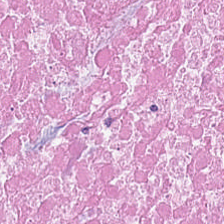H&E.
Finding — necrotic debris.
